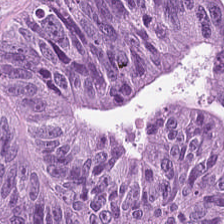Stain: hematoxylin and eosin.
Tissue: malignant epithelium.
